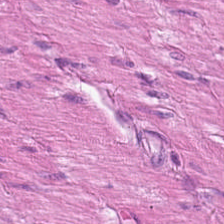H&E-stained tissue section.
Q: What tissue type is shown here?
A: Smooth muscle.
